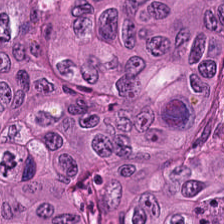Stain: H&E-stained tissue section.
Predominant tissue: colorectal adenocarcinoma.
